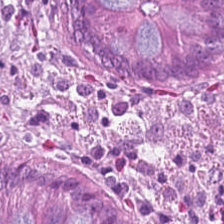224×224 px tile · 0.5 µm/px · hematoxylin-and-eosin stained section.
The predominant tissue is non-neoplastic colon mucosa.
